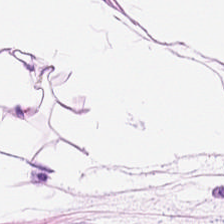H&E-stained tissue section. This patch shows adipose.
